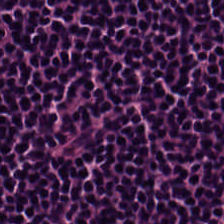H&E — Tissue class: lymphocytic infiltrate.
